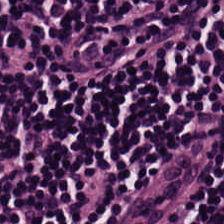Hematoxylin-and-eosin stained section — Showing lymphocytes.
